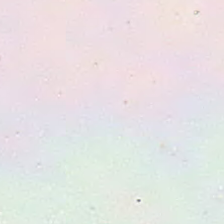Hematoxylin and eosin · 224×224 pixel tile — Background.
